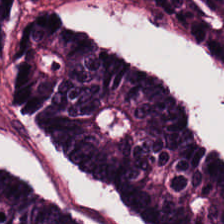H&E stain. Tissue class = adenocarcinoma.
